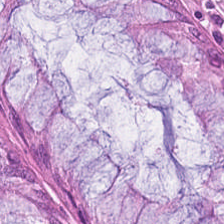H&E-stained tissue section. The tissue type is normal colonic mucosa.
